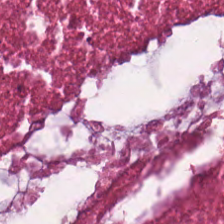Stain: hematoxylin-and-eosin stained section.
Tissue: cellular debris.
